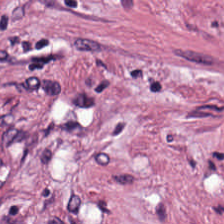H&E · 20× equivalent magnification · brightfield microscopy — This patch shows desmoplastic stroma.
